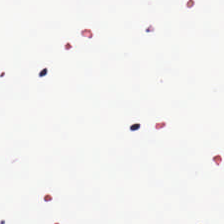Hematoxylin and eosin — This patch shows empty background.
